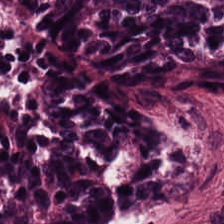Hematoxylin and eosin · 0.5 µm per pixel. The tissue here is colorectal adenocarcinoma.
